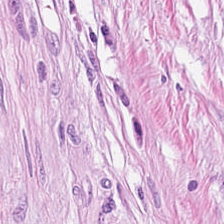Finding → desmoplastic stroma.
